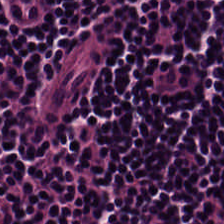224×224 px patch · brightfield · H&E stain. Predominantly lymphocyte aggregate.
